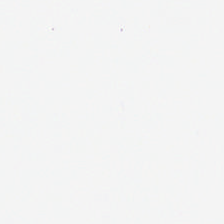Stain: H&E.
Field content: background.
